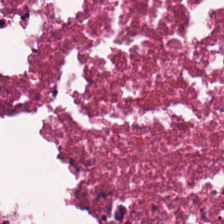H&E. Predominant tissue = debris.
